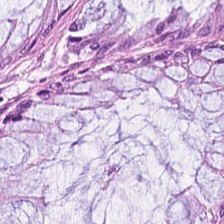Finding — normal colon mucosa.
